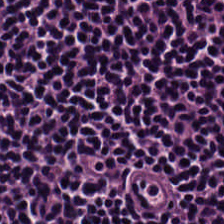H&E-stained tissue section. This field is lymphocytes.
